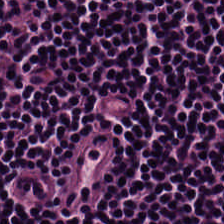Stain: H&E-stained tissue section.
Tissue: lymphocytes.
